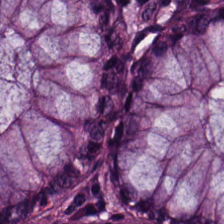H&E.
Q: What is shown here?
A: Normal colonic mucosa.
